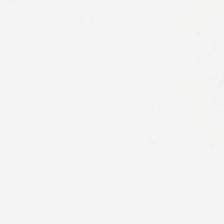H&E-stained tissue section — Impression — empty background.
